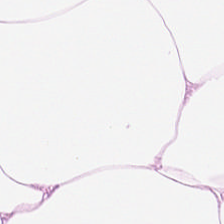Hematoxylin-and-eosin stained section. Predominant tissue = fat tissue.
